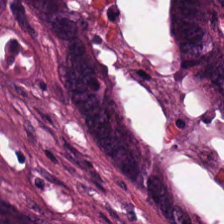H&E stain.
Showing malignant epithelium.
